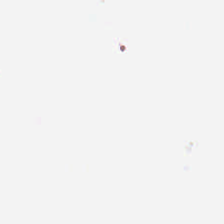Background — no tissue in this field.
